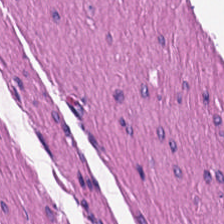Stain: hematoxylin-and-eosin stained section.
Preparation: formalin-fixed paraffin-embedded section.
Classification: smooth-muscle tissue.
